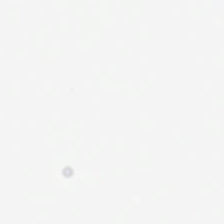0.5 microns per pixel · brightfield · hematoxylin and eosin. Q: What is shown here?
A: The field shows no tissue.
